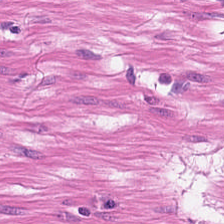Classification: smooth muscle.
